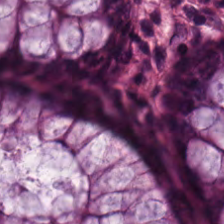H&E-stained tissue section.
Q: What tissue type is shown here?
A: This is normal colon mucosa.
